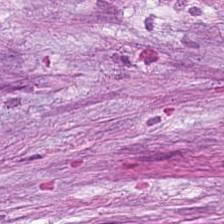Stain: hematoxylin and eosin.
Classification: tumor stroma.
